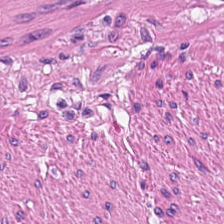H&E; 0.5 µm per pixel; 224×224 px tile — Predominantly smooth muscle.
